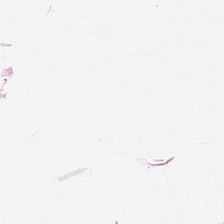Tissue = adipocytes.
